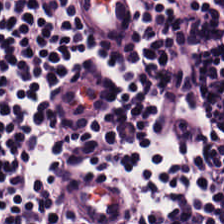Hematoxylin and eosin. This field is lymphocyte aggregate.
